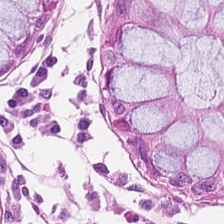FFPE tissue section; H&E — Impression → non-neoplastic colon mucosa.
